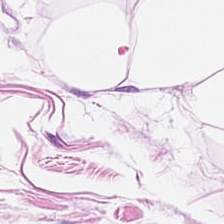0.5 microns per pixel · H&E-stained tissue section · 224×224 pixel tile — Tissue class = adipose.
